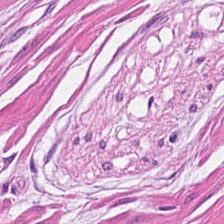H&E-stained tissue section — Q: What tissue is shown?
A: It is smooth muscle.
